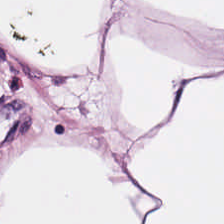H&E stain · 0.5 µm per pixel.
Q: What is the predominant tissue type?
A: It is fat tissue.
